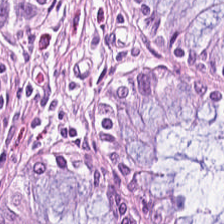{"tissue_type": "normal colonic mucosa"}
